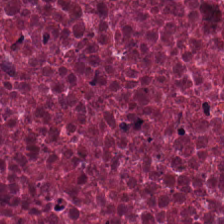Stain: H&E stain.
Acquisition: WSI patch.
Predominant tissue: cellular debris.
